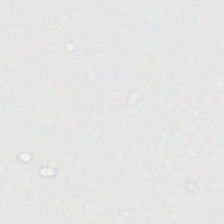Hematoxylin-and-eosin stained section.
This field is background (no tissue).
